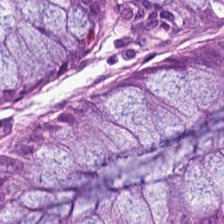Stain: H&E-stained tissue section.
Tissue: normal colonic mucosa.
